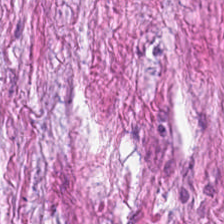Tumor-associated stroma.
